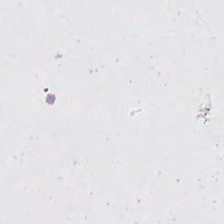Hematoxylin-and-eosin stained section.
Background — no tissue in this field.
